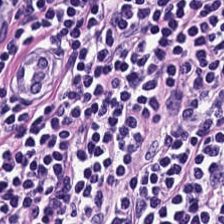FFPE. Hematoxylin-and-eosin stained section.
Impression — lymphoid infiltrate.
